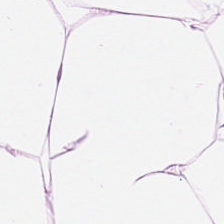Hematoxylin and eosin — Showing adipose tissue.
